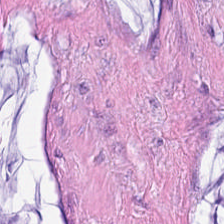Hematoxylin and eosin · 224×224 pixel tile.
The tissue is mucin.
